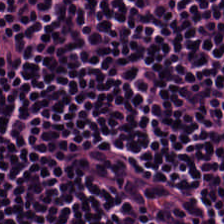Tissue type: lymphocyte aggregate.
